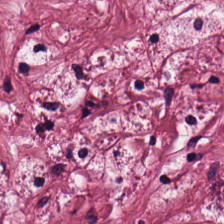H&E-stained tissue section — Tissue: tumor-associated stroma.
